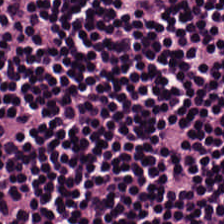Hematoxylin and eosin — Finding — lymphocyte aggregate.
